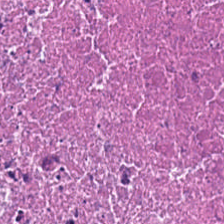H&E stain; 224×224 px patch.
The tissue is necrotic debris.
